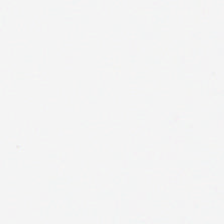Hematoxylin and eosin — Empty background.
